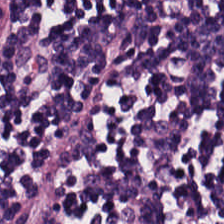H&E — The tissue here is lymphocytes.
